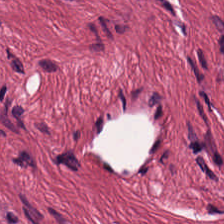H&E stain. Q: Classify this patch.
A: It is tumor-associated stroma.
